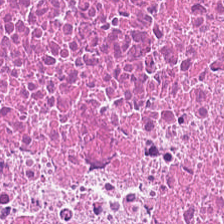Q: What tissue type is shown here?
A: It is necrotic debris.
